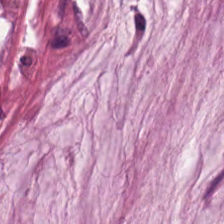H&E-stained tissue section.
Classification: mucus.
